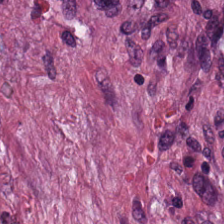H&E stain. This patch shows desmoplastic stroma.
